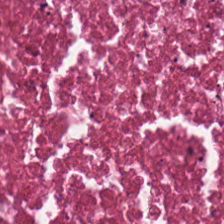Histology — debris.
